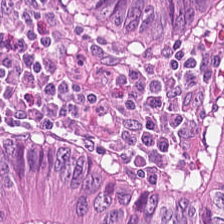FFPE tissue section. 0.5 µm/px. H&E stain.
Classification = tumor epithelium.
